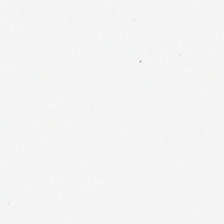H&E stain; WSI patch. Q: What is shown here?
A: This is no tissue.
